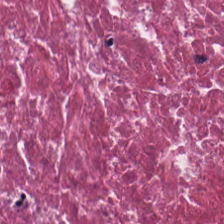Hematoxylin and eosin. WSI patch. This patch shows debris.
